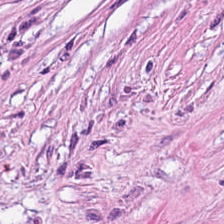Classification — tumor stroma.
